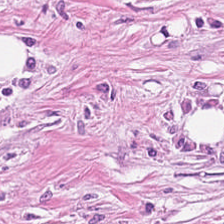H&E. This field is tumor-associated stroma.
